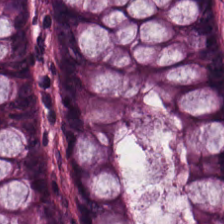Hematoxylin and eosin · formalin-fixed paraffin-embedded section — The tissue here is benign colonic mucosa.
